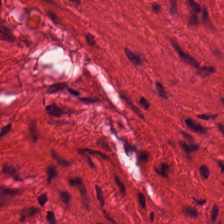H&E. Histology — smooth-muscle tissue.
